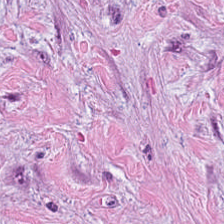H&E-stained tissue section. The predominant tissue is tumor stroma.
